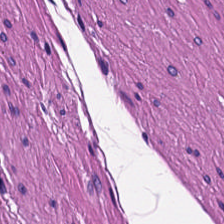The predominant tissue is muscularis.
